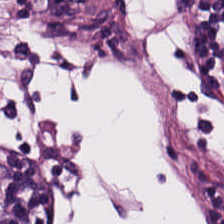Q: What does this patch show?
A: Lymphoid infiltrate.
